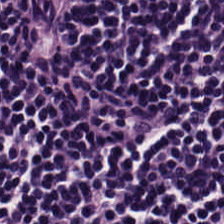H&E — Lymphocyte aggregate.
